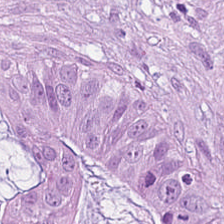0.5 µm per pixel; H&E.
Q: What does this patch show?
A: It is adenocarcinoma.
